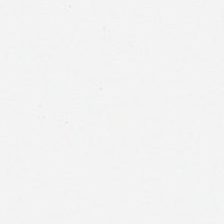20× equivalent magnification; hematoxylin-and-eosin stained section — Empty field — background (no tissue).
